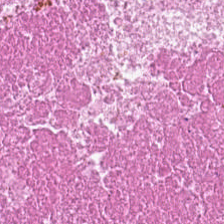0.5 microns per pixel · hematoxylin and eosin.
Predominantly necrotic debris.
